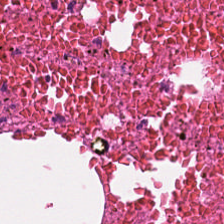FFPE tissue section · hematoxylin-and-eosin stained section.
Tissue type = cellular debris.
